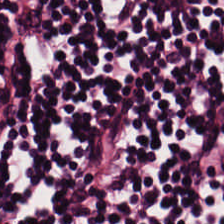H&E. Histology — lymphoid infiltrate.
